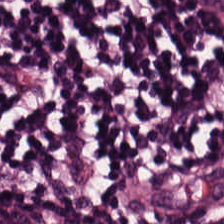H&E-stained tissue section · FFPE tissue section — This patch shows lymphocyte aggregate.
